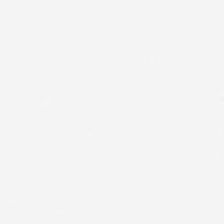H&E; brightfield microscopy; 224×224 px patch. Q: What is shown in this field?
A: This is empty background.
